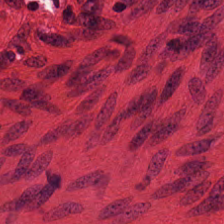Hematoxylin-and-eosin stained section. Brightfield microscopy — Tissue class: smooth muscle.
